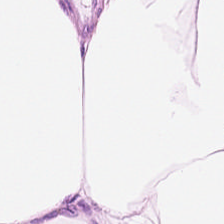224×224 px tile; H&E stain; brightfield.
Showing fat tissue.
